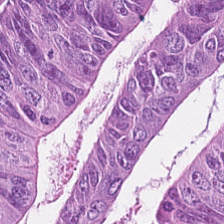Formalin-fixed paraffin-embedded section. Hematoxylin-and-eosin stained section.
Impression — adenocarcinoma.
